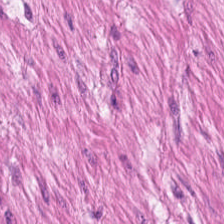224×224 pixel tile; hematoxylin and eosin — Q: What type of tissue is this?
A: Smooth muscle.
